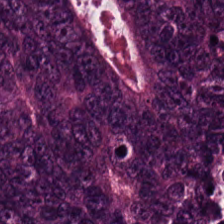H&E — Tissue type = adenocarcinoma.
